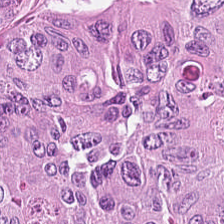Hematoxylin and eosin · 0.5 microns per pixel. The tissue here is tumor epithelium.
